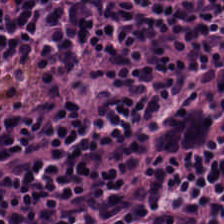Hematoxylin and eosin; 224×224 px tile; brightfield microscopy. Predominantly lymphoid infiltrate.
